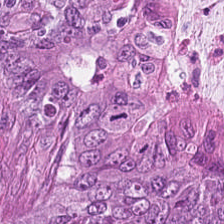H&E; formalin-fixed paraffin-embedded section — Tissue type = malignant epithelium.
